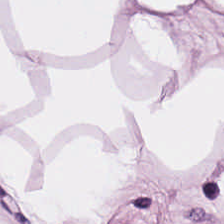Hematoxylin and eosin. Predominantly fat tissue.
